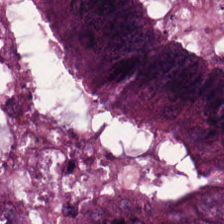FFPE; hematoxylin-and-eosin stained section — Tissue type: colorectal adenocarcinoma.
